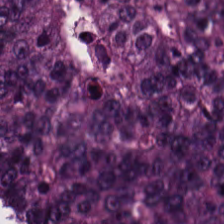H&E · 224×224 px tile.
This patch shows colorectal adenocarcinoma epithelium.
